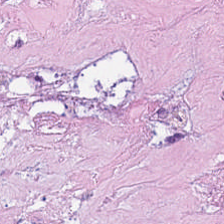Stain: hematoxylin-and-eosin stained section.
Preparation: formalin-fixed paraffin-embedded section.
Resolution: 0.5 µm per pixel.
Tissue: debris.
